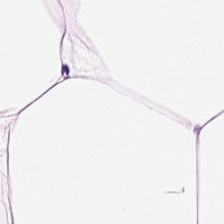Classification = adipose tissue.
